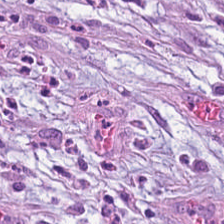Desmoplastic stroma.
